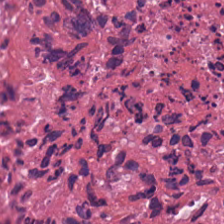Stain: hematoxylin-and-eosin stained section.
Tissue type: debris.
